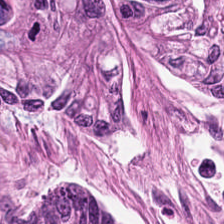Hematoxylin-and-eosin stained section. Predominantly adenocarcinoma.
